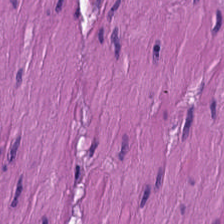The tissue here is smooth muscle.
